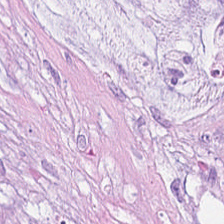Hematoxylin-and-eosin stained section.
The classification is mucin.
